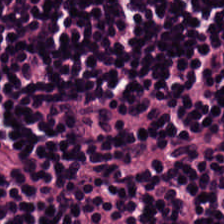H&E stain. Predominantly lymphoid infiltrate.
